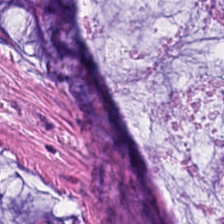Q: Classify this patch.
A: The field shows extracellular mucin.
